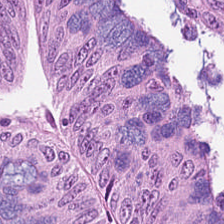0.5 µm per pixel · H&E stain — Tissue class = colorectal adenocarcinoma epithelium.
